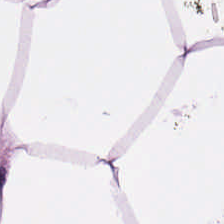H&E-stained tissue section — This patch shows fat tissue.
